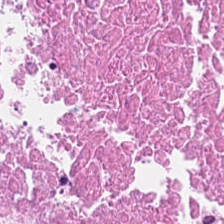Q: What does this patch show?
A: Necrotic debris.
